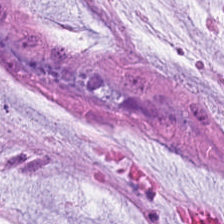Hematoxylin-and-eosin section: mucus.
